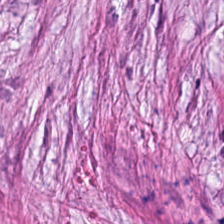Q: What tissue type is shown here?
A: This is tumor-associated stroma.
